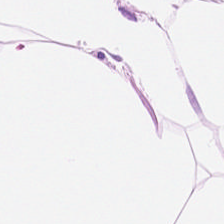H&E-stained tissue section · 224×224 pixel tile — Classification — adipocytes.
